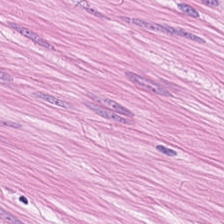Stain: hematoxylin-and-eosin stained section.
Acquisition: brightfield microscopy.
Predominant tissue: muscularis.
